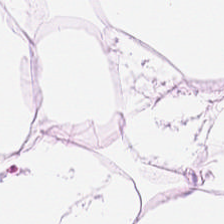H&E-stained tissue section showing adipose.
